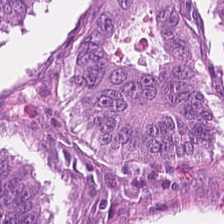Q: What is shown in this field?
A: It is malignant epithelium.
